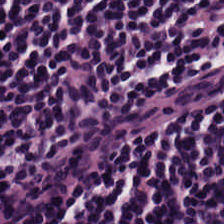H&E stain. Brightfield microscopy. 224×224 px tile — The predominant tissue is lymphocyte aggregate.
